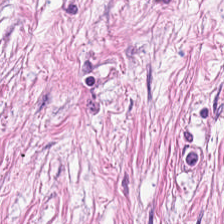224×224 pixel tile; hematoxylin-and-eosin stained section; FFPE — Q: What type of tissue is this?
A: The field shows desmoplastic stroma.
